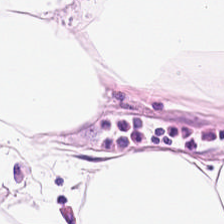Brightfield microscopy; 224×224 pixel tile; H&E. This field is adipose tissue.
